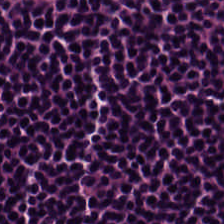This field is lymphoid infiltrate.
